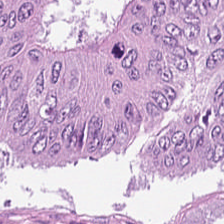H&E. FFPE tissue section. The predominant tissue is colorectal adenocarcinoma.
